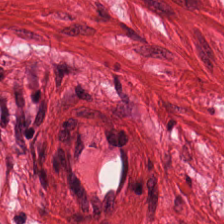Stain: H&E.
Predominant tissue: smooth muscle.
